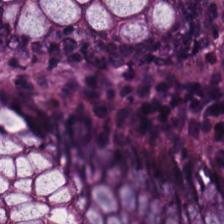Whole-slide-image patch · hematoxylin and eosin — Normal colon mucosa.
